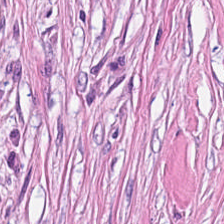H&E. Impression — tumor stroma.
